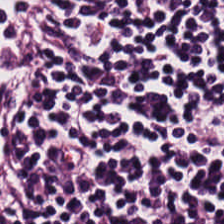Showing lymphocyte aggregate.
